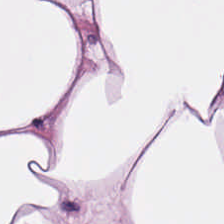H&E — Q: What is the predominant tissue type?
A: This is adipocytes.
